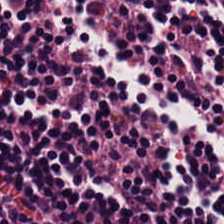Hematoxylin-and-eosin stained section; 224×224 pixel tile — Q: What is the predominant tissue type?
A: Lymphocyte aggregate.
